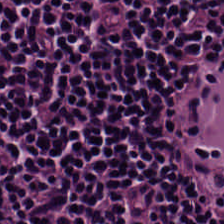H&E-stained tissue section; 20× equivalent magnification — The tissue is lymphocytes.
